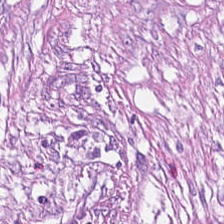H&E stain. Impression — tumor stroma.
